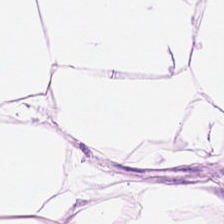H&E — Q: What is shown here?
A: It is fat tissue.
